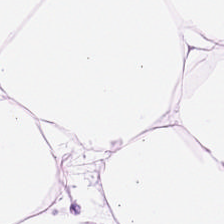Brightfield microscopy · H&E · 224×224 px tile.
The predominant tissue is adipocytes.
